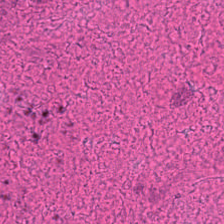H&E · brightfield · 224×224 px tile — Impression → necrotic debris.
